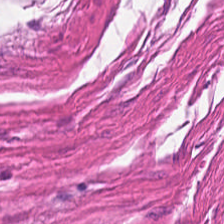Hematoxylin and eosin — Predominantly smooth-muscle tissue.
